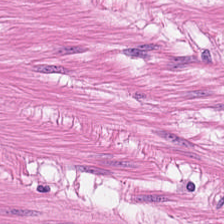Hematoxylin and eosin. 224×224 px tile. FFPE tissue section. Smooth-muscle tissue.
